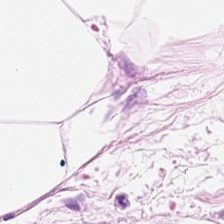0.5 µm per pixel · hematoxylin and eosin. Showing fat tissue.
